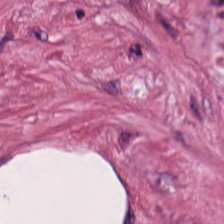H&E.
This field is tumor-associated stroma.
